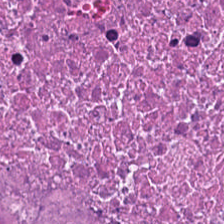FFPE. H&E-stained tissue section. 224×224 pixel tile — Predominant tissue — debris.
